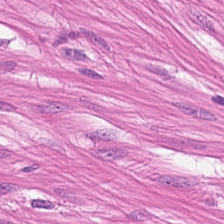Hematoxylin-and-eosin stained section.
This patch shows muscularis.
